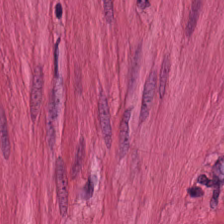WSI patch; FFPE; H&E-stained tissue section — The classification is smooth muscle.
